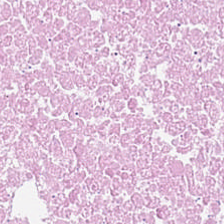Stain: H&E stain.
Tissue type: debris.
